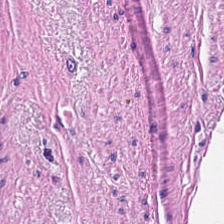0.5 µm per pixel. Hematoxylin-and-eosin stained section. 224×224 px patch — This patch shows smooth-muscle tissue.
